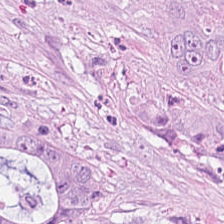20× equivalent magnification · H&E. Q: What type of tissue is this?
A: This is adenocarcinoma.
